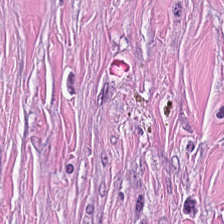Hematoxylin-and-eosin stained section. Formalin-fixed paraffin-embedded section. Showing tumor stroma.
